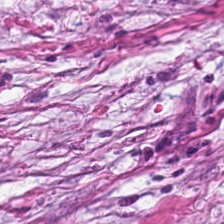H&E stain.
Tumor stroma.
